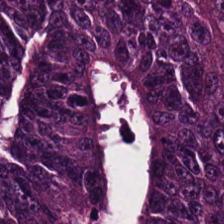Whole-slide-image patch; formalin-fixed paraffin-embedded section; hematoxylin and eosin.
This field is adenocarcinoma.
